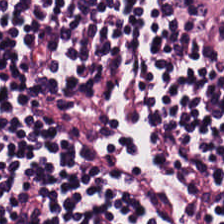Histology → lymphocytes.
